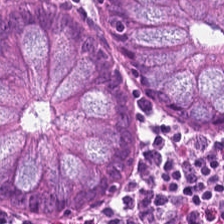WSI patch · H&E stain · 224×224 px tile.
The tissue here is benign colonic mucosa.
